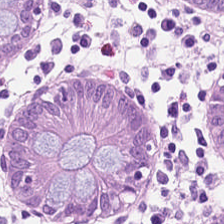Hematoxylin-and-eosin stained section.
Q: What is shown here?
A: This is normal colon mucosa.
